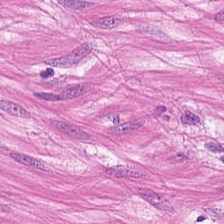0.5 µm/px · hematoxylin and eosin. Tissue type — smooth muscle.
